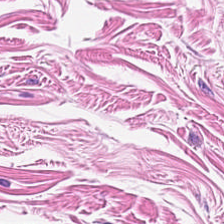H&E stain — This patch shows smooth muscle.
